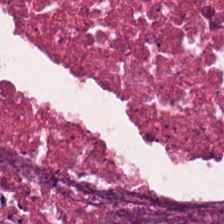H&E-stained tissue section. Q: What does this patch show?
A: Cellular debris.
